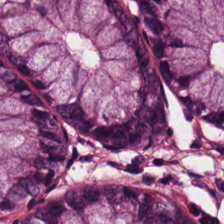H&E-stained tissue section.
{"tissue_type": "normal colonic mucosa"}
